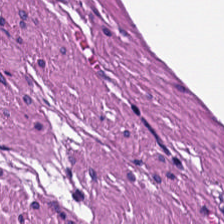H&E-stained tissue section — Histology — smooth muscle.
